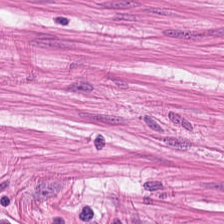Formalin-fixed paraffin-embedded section. Hematoxylin and eosin. 0.5 microns per pixel. Q: What type of tissue is this?
A: The field shows muscularis.
